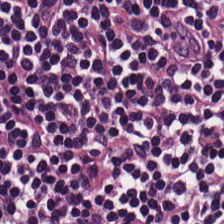H&E stain · brightfield microscopy · 20× equivalent magnification — Showing lymphocyte aggregate.
